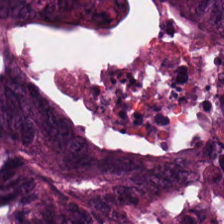224×224 pixel tile; H&E stain. Classification — malignant epithelium.
